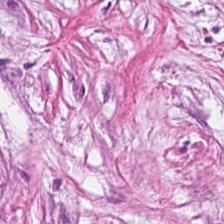Hematoxylin-and-eosin stained section — Tissue: cancer-associated stroma.
